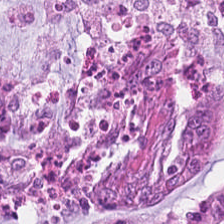Hematoxylin and eosin · FFPE — Showing colorectal adenocarcinoma.
